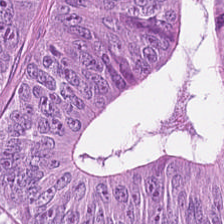Hematoxylin-and-eosin stained section. Showing colorectal adenocarcinoma.
